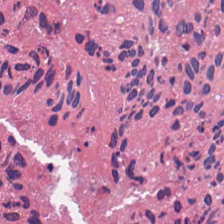H&E stain; 0.5 µm/px; FFPE tissue section. Q: What is shown here?
A: It is cellular debris.
